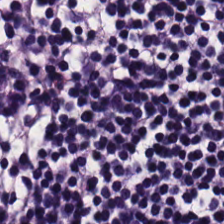Hematoxylin-and-eosin stained section. Q: Classify this patch.
A: It is lymphocytic infiltrate.
